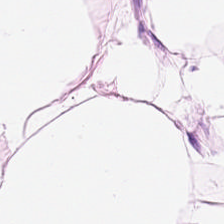Stain: H&E-stained tissue section.
Classification: fat tissue.
